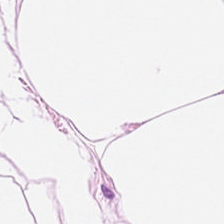H&E-stained tissue section. Q: What does this patch show?
A: Fat tissue.
